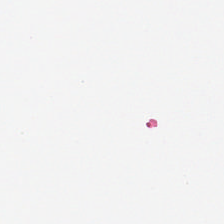H&E. Background — no tissue in this field.
